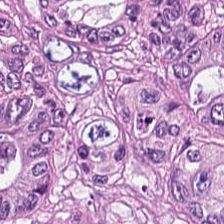Whole-slide-image patch. Hematoxylin-and-eosin stained section — {"tissue_type": "colorectal adenocarcinoma"}
